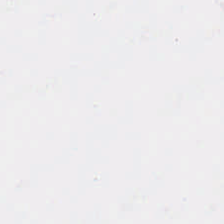Hematoxylin and eosin. Q: What does this patch show?
A: It is no tissue.
